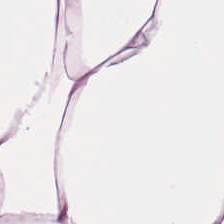H&E stain.
Tissue type: adipocytes.
